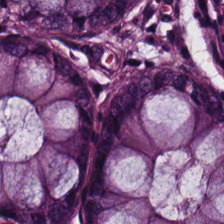H&E-stained tissue section.
Q: Classify this patch.
A: The field shows normal colon mucosa.
